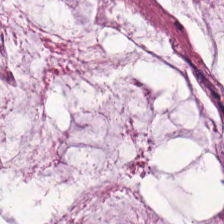Hematoxylin-and-eosin stained section — The tissue here is mucin.
